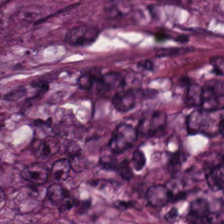H&E-stained tissue section.
Classification = colorectal adenocarcinoma.
